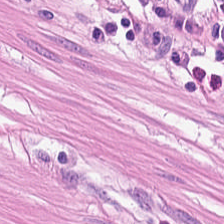H&E stain. Whole-slide-image patch. FFPE tissue section.
Histology — smooth muscle.
